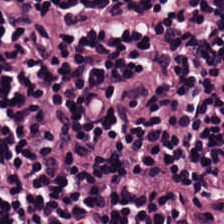Hematoxylin-and-eosin section: lymphocytes.
